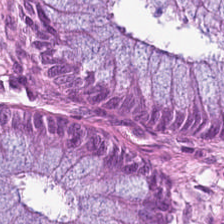Brightfield microscopy. H&E — Tissue type — non-neoplastic colon mucosa.
